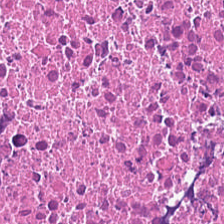Whole-slide-image patch. H&E stain. 0.5 µm per pixel — Q: What is the predominant tissue type?
A: Cellular debris.
